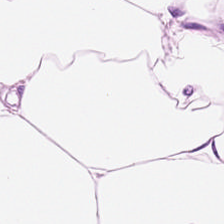H&E-stained tissue section — Predominantly adipose tissue.
